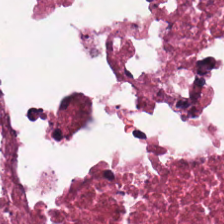Hematoxylin-and-eosin stained section. FFPE tissue section. 224×224 px patch — Finding → necrotic debris.
